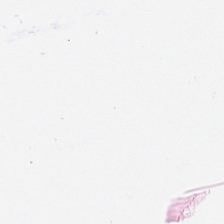FFPE tissue section; H&E-stained tissue section. Showing adipose tissue.
